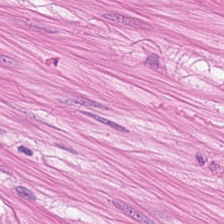Stain: H&E-stained tissue section.
Tissue: smooth muscle.
